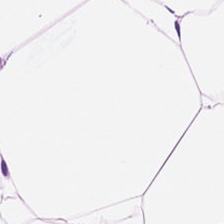Hematoxylin and eosin. Adipose tissue.
